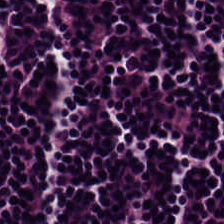H&E stain — Showing lymphocytic infiltrate.
